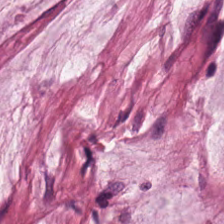Hematoxylin and eosin — Predominantly extracellular mucin.
